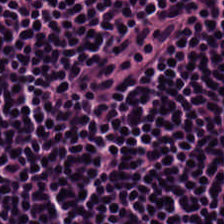Hematoxylin and eosin.
This patch shows lymphoid infiltrate.
